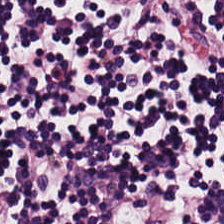H&E-stained tissue section. Lymphoid infiltrate.
